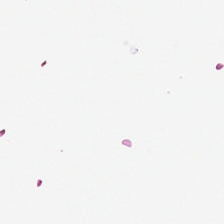H&E-stained tissue section; 224×224 px patch — Field content — no tissue.
